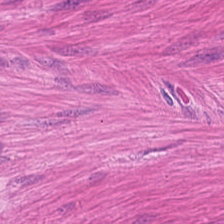H&E-stained tissue section — This field is smooth muscle.
